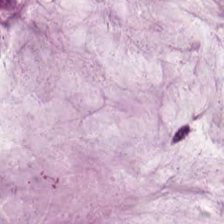H&E stain — Predominantly mucin.
